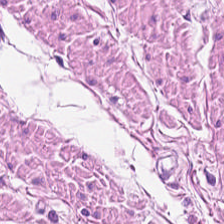{"tissue_type": "muscularis"}
